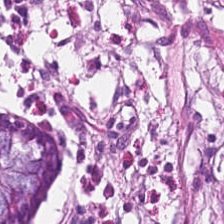H&E stain.
Q: What tissue type is shown here?
A: This is benign colonic mucosa.
